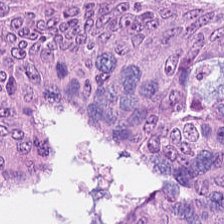H&E-stained tissue section.
Finding → colorectal adenocarcinoma.
